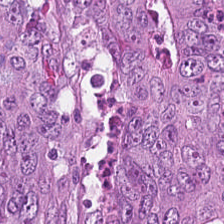H&E stain.
This field is adenocarcinoma.
